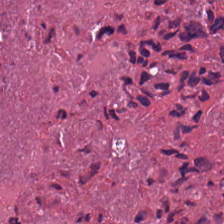This field is debris.
